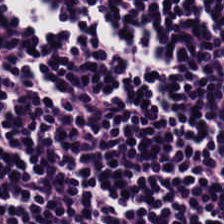H&E — Finding — lymphocytes.
